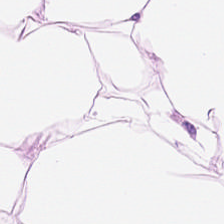H&E stain.
Tissue class: fat tissue.
